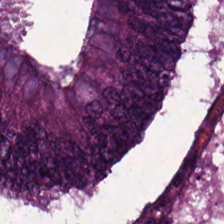H&E-stained section; the field shows malignant epithelium.
